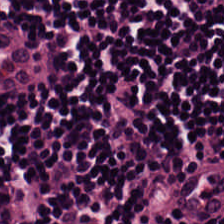H&E-stained tissue section.
Predominantly lymphocytes.
